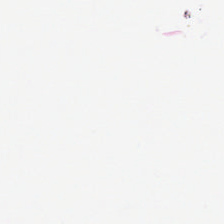Hematoxylin-and-eosin stained section; whole-slide-image patch; 0.5 µm per pixel — Empty field — background.
